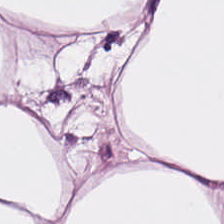H&E-stained tissue section — Showing adipose tissue.
